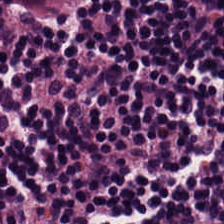224×224 px tile · H&E stain. Tissue: lymphocytic infiltrate.
